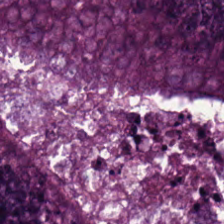Hematoxylin-and-eosin stained section — Tissue class: malignant epithelium.
